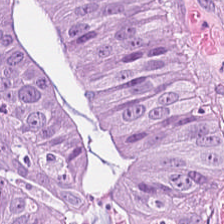This patch shows tumor epithelium.
